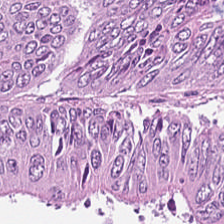Q: What is shown here?
A: The field shows tumor epithelium.
